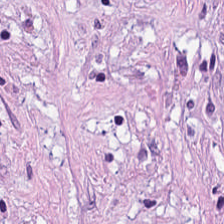224×224 pixel tile · hematoxylin-and-eosin stained section.
Q: What is the predominant tissue type?
A: It is tumor stroma.
